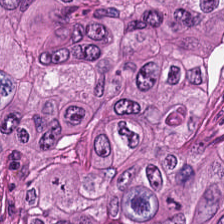Hematoxylin and eosin. FFPE.
Tissue class — tumor epithelium.
